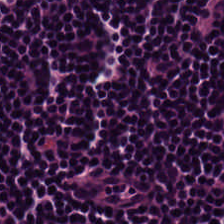Q: What type of tissue is this?
A: It is lymphoid infiltrate.
